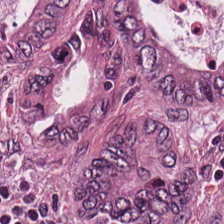Hematoxylin-and-eosin stained section. Predominantly colorectal adenocarcinoma.
